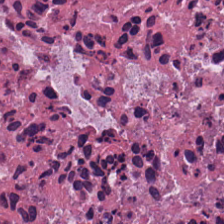Tissue class — debris.
